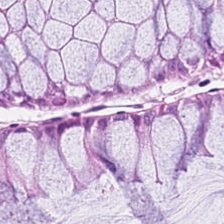Impression — normal colonic mucosa.
